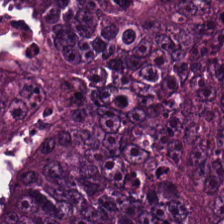FFPE. WSI patch. Hematoxylin-and-eosin stained section. Tissue = adenocarcinoma.
